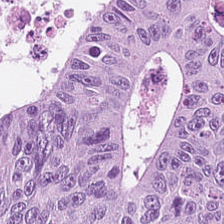224×224 px tile · FFPE · hematoxylin-and-eosin stained section — Q: Identify the tissue.
A: The field shows colorectal adenocarcinoma.
